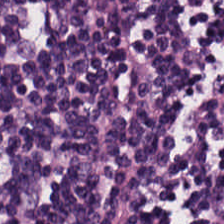Tissue — lymphocytes.
